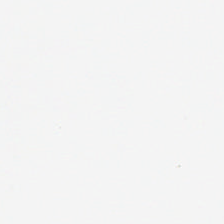Background — no tissue in this field.
